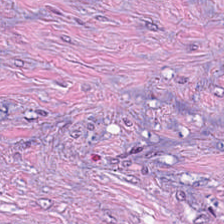H&E-stained tissue section — Classification = tumor stroma.
